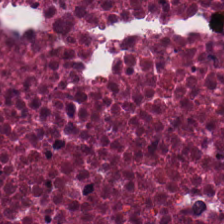Tissue = debris.
